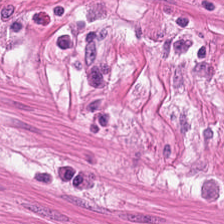H&E-stained tissue section. Q: Classify this patch.
A: Muscularis.
